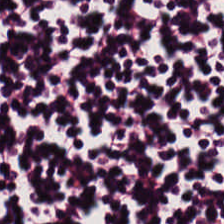H&E-stained tissue section; 0.5 microns per pixel. Lymphocytic infiltrate.
